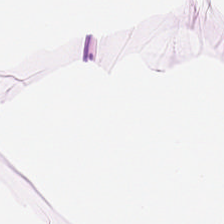224×224 px tile. 0.5 µm per pixel. Hematoxylin-and-eosin stained section. The tissue type is adipose tissue.
